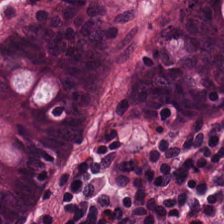Hematoxylin-and-eosin stained section. Brightfield microscopy. Q: What does this patch show?
A: The field shows non-neoplastic colon mucosa.
